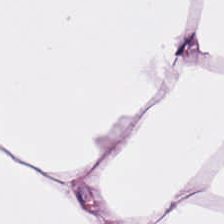Stain: H&E stain.
Predominant tissue: fat tissue.
